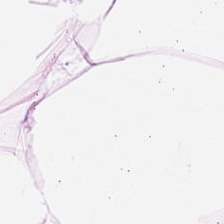H&E stain. Tissue — fat tissue.
